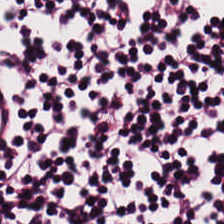Impression → lymphocyte aggregate.
